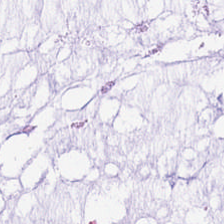H&E; FFPE; 0.5 microns per pixel — Mucin.
